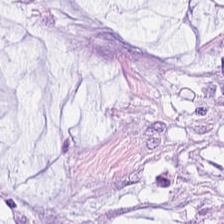FFPE tissue section; 224×224 px tile; H&E stain. Impression — mucin.
